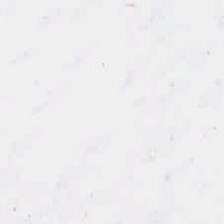Hematoxylin-and-eosin stained section; 20× equivalent magnification; 224×224 px tile — Impression → empty background.
